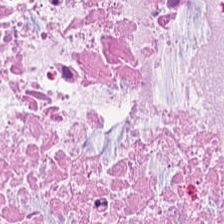Hematoxylin and eosin · FFPE tissue section · 224×224 pixel tile. Histology → cellular debris.
